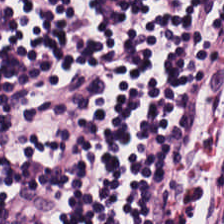Hematoxylin and eosin. FFPE.
The tissue here is lymphocytic infiltrate.
